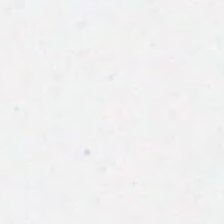FFPE tissue section; hematoxylin-and-eosin stained section.
Finding — no tissue.
